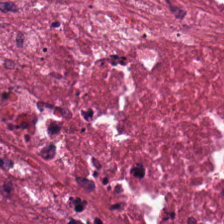Hematoxylin and eosin. Q: What is shown here?
A: The field shows cellular debris.
